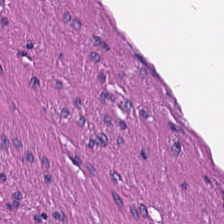224×224 px tile; H&E-stained tissue section; FFPE — Tissue class = muscularis.
